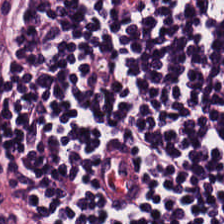H&E stain — Q: What is the predominant tissue type?
A: The field shows lymphoid infiltrate.
